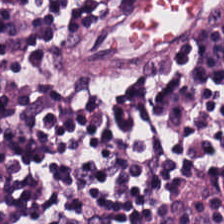FFPE; H&E-stained tissue section. Classification = lymphocyte aggregate.
